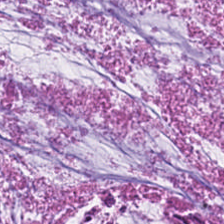H&E — mucin.
